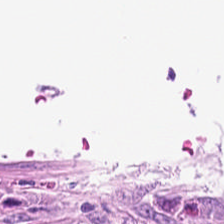Brightfield microscopy. H&E-stained tissue section. 224×224 px patch — This patch shows background (no tissue).
